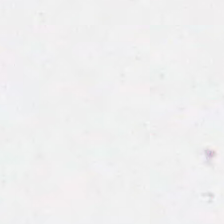Hematoxylin-and-eosin stained section · formalin-fixed paraffin-embedded section — Q: What is shown in this field?
A: It is background.
